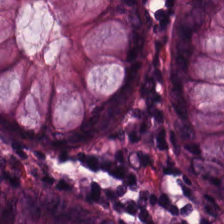H&E-stained tissue section. Formalin-fixed paraffin-embedded section. Classification — non-neoplastic colon mucosa.
